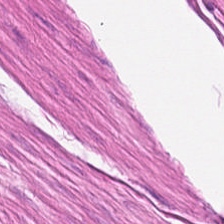H&E — {"tissue_type": "muscularis"}
